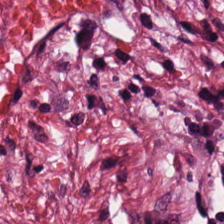Brightfield. H&E.
This field is tumor stroma.
